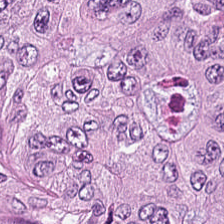H&E-stained tissue section · 224×224 pixel tile — The tissue here is colorectal adenocarcinoma.
